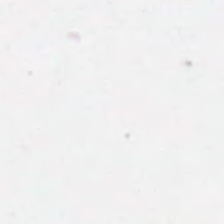H&E. Formalin-fixed paraffin-embedded section — Content = background (no tissue).
